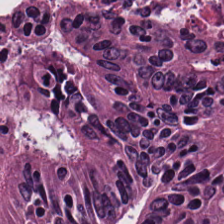Q: Classify this patch.
A: This is adenocarcinoma.
